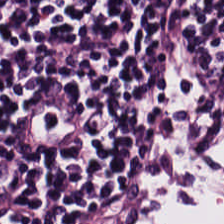H&E — Q: What type of tissue is this?
A: Lymphoid infiltrate.
